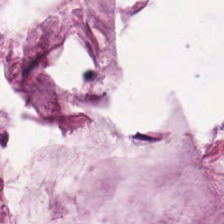H&E patch showing mucus.
